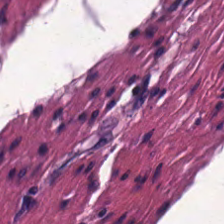Q: What type of tissue is this?
A: The field shows muscularis.
